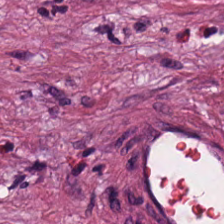H&E; 0.5 µm/px. The tissue type is desmoplastic stroma.
